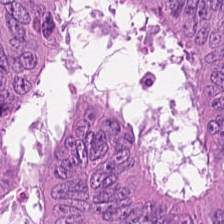0.5 microns per pixel. 224×224 pixel tile. Hematoxylin-and-eosin stained section — Tissue class = tumor epithelium.
